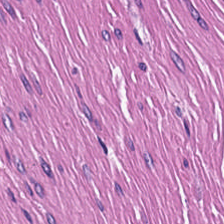Impression → smooth-muscle tissue.
